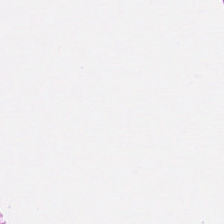This patch shows smooth-muscle tissue.
